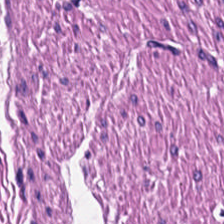Impression — smooth-muscle tissue.
